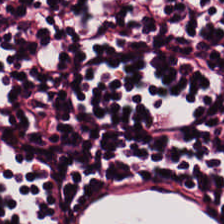Hematoxylin and eosin — Histology → lymphocyte aggregate.
